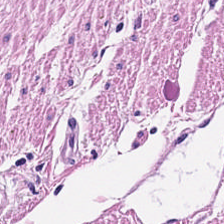H&E — Showing smooth muscle.
